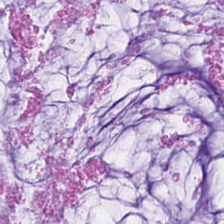H&E stain. 224×224 px patch — Q: What tissue type is shown here?
A: This is mucin.
